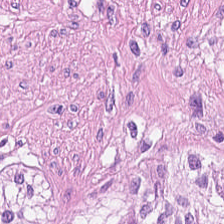{"tissue_type": "muscularis"}
